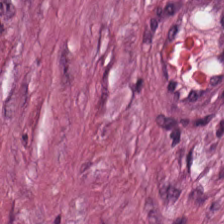H&E stain · formalin-fixed paraffin-embedded section. Finding — tumor-associated stroma.
